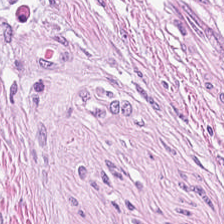224×224 pixel tile; formalin-fixed paraffin-embedded section; hematoxylin-and-eosin stained section.
Tissue type — desmoplastic stroma.
